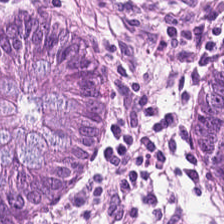Hematoxylin-and-eosin stained section.
Finding → normal colonic mucosa.
